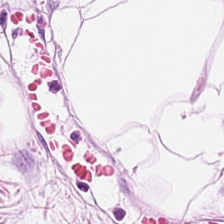0.5 µm/px; H&E-stained tissue section. This field is adipose.
